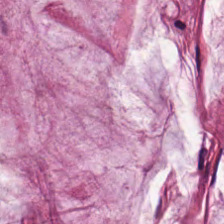H&E-stained tissue section showing extracellular mucin.
